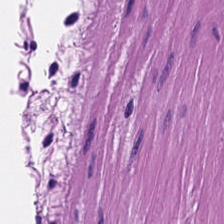Brightfield microscopy · H&E — Q: What does this patch show?
A: It is smooth-muscle tissue.
